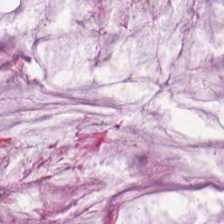Q: What does this patch show?
A: This is mucin.
